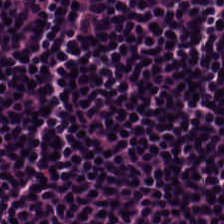Whole-slide-image patch · 224×224 px patch · H&E stain. Histology — lymphocytes.
